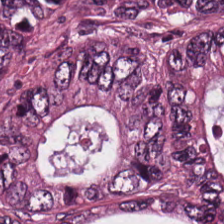H&E-stained tissue section. WSI patch. 0.5 µm per pixel.
Impression — colorectal adenocarcinoma.
